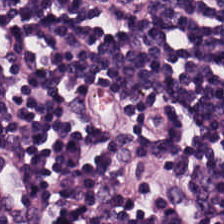Hematoxylin and eosin. 20× equivalent magnification. WSI patch.
{"tissue_type": "lymphoid infiltrate"}
